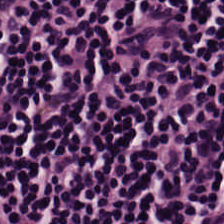Hematoxylin-and-eosin stained section. Tissue: lymphocyte aggregate.
